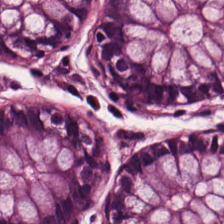H&E-stained section; the field shows normal colonic mucosa.
